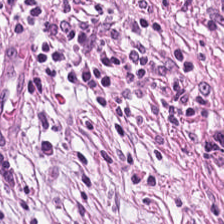Hematoxylin-and-eosin stained section · 224×224 pixel tile.
Q: What is the predominant tissue type?
A: This is desmoplastic stroma.
